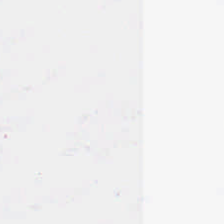0.5 µm per pixel. H&E — Q: What is shown in this field?
A: Background.
